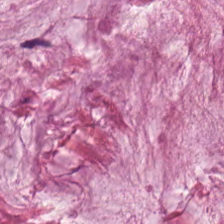0.5 µm per pixel; H&E-stained tissue section. Q: What does this patch show?
A: This is mucin.
